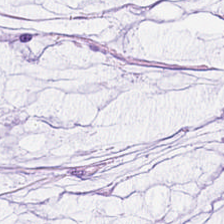Stain: hematoxylin and eosin.
Tissue: mucin.
